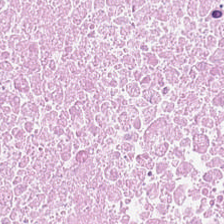WSI patch. Hematoxylin-and-eosin stained section. Finding → necrotic debris.
